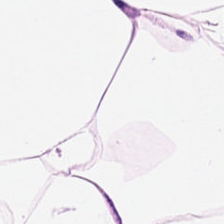Hematoxylin and eosin.
Showing adipose tissue.
